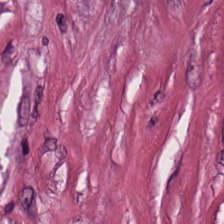H&E-stained tissue section.
Tumor-associated stroma.
